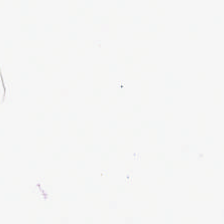Hematoxylin-and-eosin stained section.
{"content": "background"}
